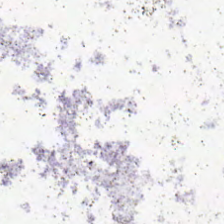Background (no tissue).
